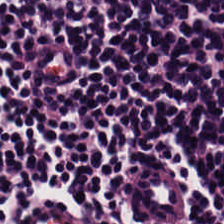Predominantly lymphoid infiltrate.
